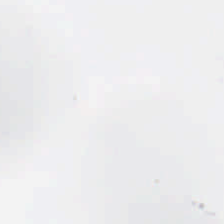Brightfield microscopy · 224×224 px tile · hematoxylin and eosin.
Content = background.
